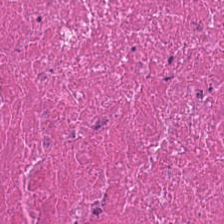H&E stain.
Predominantly necrotic debris.
